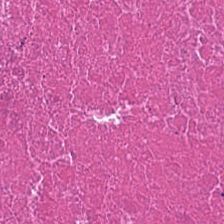H&E.
The predominant tissue is cellular debris.
